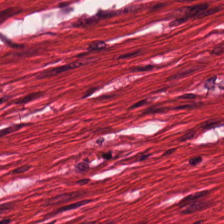H&E patch showing smooth-muscle tissue.
